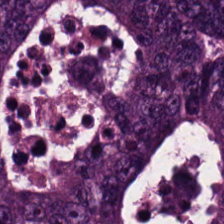Brightfield. H&E-stained tissue section. Showing malignant epithelium.
